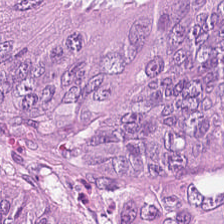Q: Classify this patch.
A: Colorectal adenocarcinoma.
